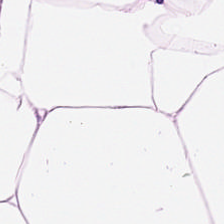Hematoxylin and eosin · formalin-fixed paraffin-embedded section · 224×224 pixel tile — Q: What tissue type is shown here?
A: It is adipose.
